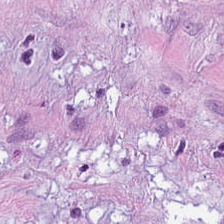Hematoxylin-and-eosin stained section — Q: What does this patch show?
A: The field shows tumor stroma.
